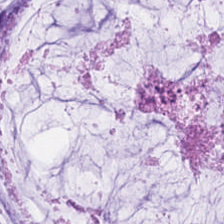H&E stain; whole-slide-image patch.
The tissue here is extracellular mucin.
